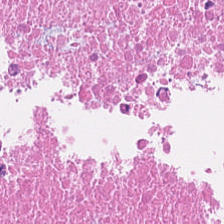H&E-stained tissue section. {"tissue_type": "necrotic debris"}
